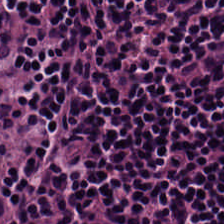Hematoxylin-and-eosin stained section — Showing lymphocytes.
